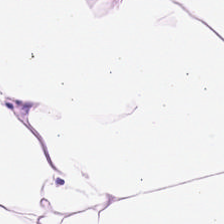Predominantly adipose.
